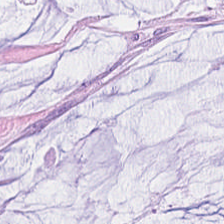Impression → mucin.
